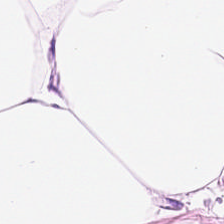H&E.
The predominant tissue is adipose.
